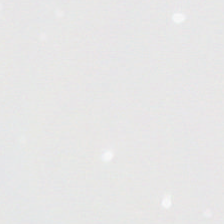Stain: H&E stain.
Tile size: 224×224 pixel tile.
Classification: no tissue.
